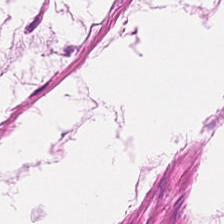0.5 microns per pixel. Brightfield. Hematoxylin and eosin — This field is smooth-muscle tissue.
